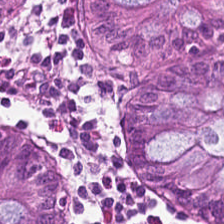H&E-stained tissue section — Tissue class — benign colonic mucosa.
